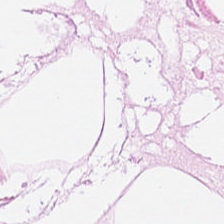Stain: H&E-stained tissue section.
Tissue: fat tissue.
